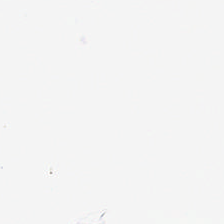FFPE tissue section. H&E stain. No tissue present; background only.
